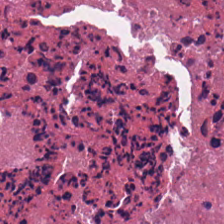Hematoxylin and eosin. The tissue here is necrotic debris.
